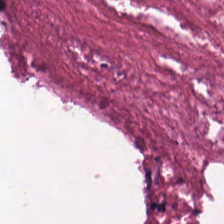Q: What is the predominant tissue type?
A: This is cellular debris.
